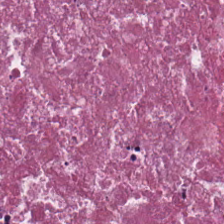H&E. Q: What tissue is shown?
A: The field shows cellular debris.
